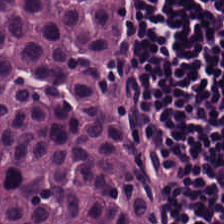H&E-stained tissue section — Finding → lymphoid infiltrate.
